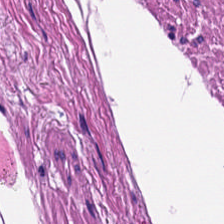Stain: hematoxylin-and-eosin stained section.
Classification: smooth-muscle tissue.
